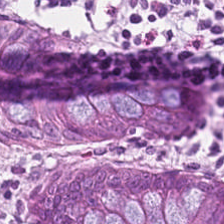Formalin-fixed paraffin-embedded section. Hematoxylin-and-eosin stained section. 224×224 px tile.
Predominantly normal colonic mucosa.
